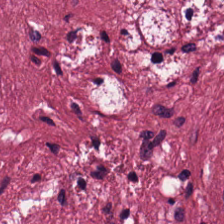Finding — tumor stroma.
